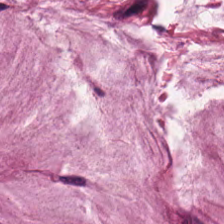Tissue type = mucin.
